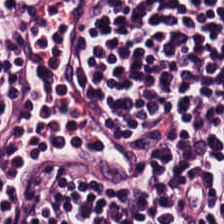20× equivalent magnification; brightfield; H&E-stained tissue section.
Showing lymphocyte aggregate.
